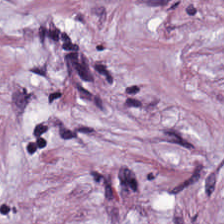Brightfield; H&E; 224×224 pixel tile. Histology → cancer-associated stroma.
